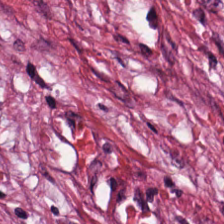H&E stain — This patch shows tumor-associated stroma.
